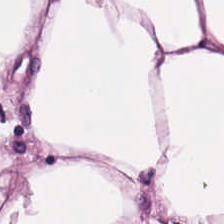Stain: H&E stain.
Classification: fat tissue.
